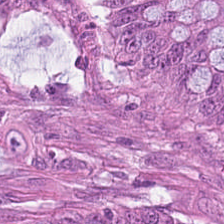Hematoxylin and eosin.
Classification — colorectal adenocarcinoma epithelium.
